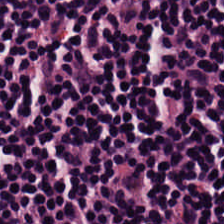Hematoxylin-and-eosin stained section. Predominantly lymphocytic infiltrate.
